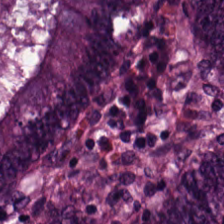Histology — tumor epithelium.
